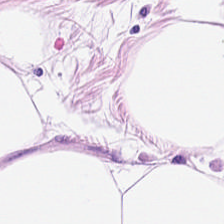H&E stain; brightfield microscopy. This field is fat tissue.
